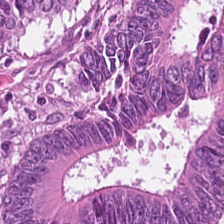Stain: H&E stain.
Resolution: 20× equivalent magnification.
Tile size: 224×224 px patch.
Predominant tissue: adenocarcinoma.
